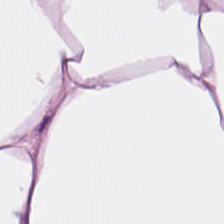Histology — adipose tissue.
